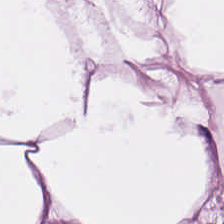H&E-stained tissue section. This patch shows adipose.
